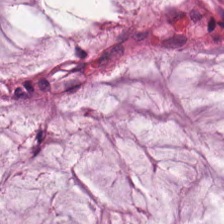H&E stain. This field is mucin.
